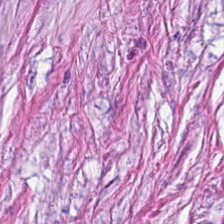FFPE. 224×224 pixel tile. H&E stain.
The tissue class is cancer-associated stroma.
